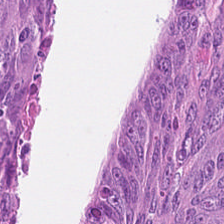The tissue here is malignant epithelium.
